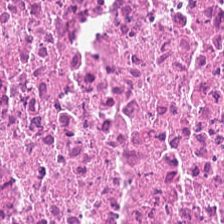This field is debris.
